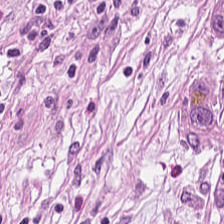H&E. Whole-slide-image patch — Q: What tissue is shown?
A: It is desmoplastic stroma.
